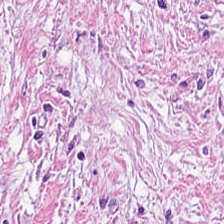The tissue type is desmoplastic stroma.
